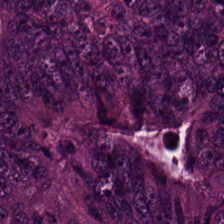Tissue type — adenocarcinoma.
